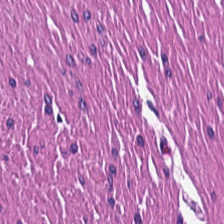Showing smooth-muscle tissue.
